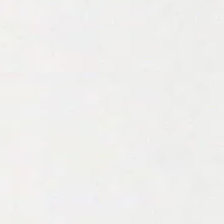H&E stain. Background — no tissue in this field.
